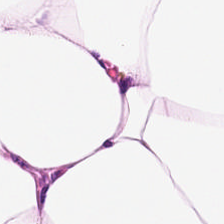FFPE tissue section. H&E.
The tissue is adipocytes.
